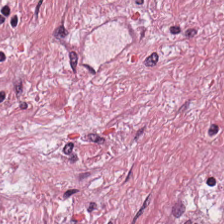Hematoxylin and eosin. Whole-slide-image patch — The tissue type is cancer-associated stroma.
